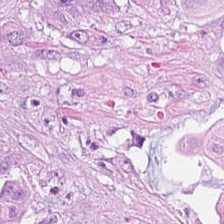H&E-stained tissue section. 224×224 pixel tile. This field is colorectal adenocarcinoma epithelium.
